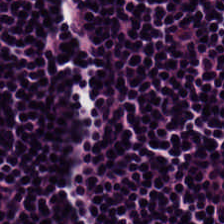Hematoxylin and eosin.
Tissue — lymphocytes.
